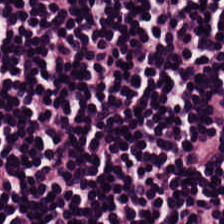Stain: H&E-stained tissue section.
Tissue: lymphoid infiltrate.
